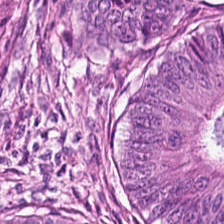0.5 microns per pixel; H&E — Histology → colorectal adenocarcinoma.
